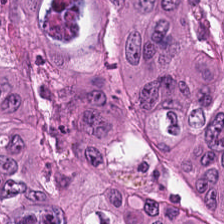224×224 px tile; hematoxylin and eosin; whole-slide-image patch.
Classification = colorectal adenocarcinoma.
